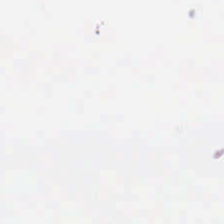Impression → background (no tissue).
